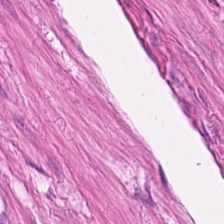H&E stain. Brightfield microscopy.
Q: What tissue type is shown here?
A: It is smooth-muscle tissue.
